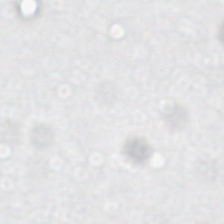Empty field — no tissue.
